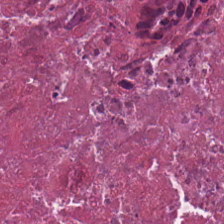Hematoxylin and eosin. Brightfield microscopy.
The classification is debris.
